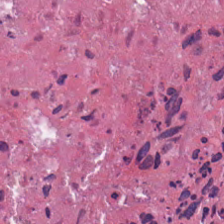H&E-stained tissue section · brightfield. Tissue class: necrotic debris.
